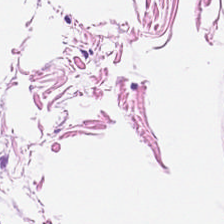{"tissue_type": "adipose tissue"}
